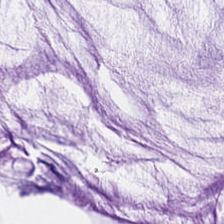Hematoxylin-and-eosin stained section.
Predominant tissue = extracellular mucin.
